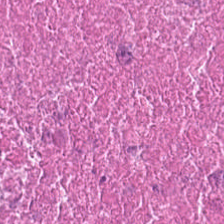H&E · 224×224 pixel tile. This field is debris.
